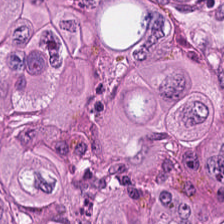H&E-stained tissue section.
Q: Identify the tissue.
A: It is colorectal adenocarcinoma epithelium.
